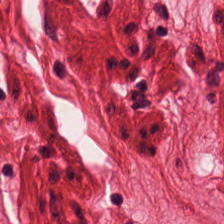Stain: H&E stain.
Tile size: 224×224 pixel tile.
Tissue class: muscularis.
